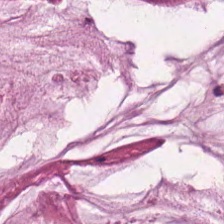224×224 px patch · hematoxylin and eosin · whole-slide-image patch.
The predominant tissue is mucin.
